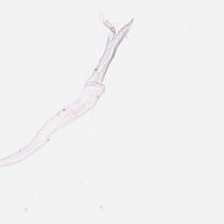H&E. Empty field — background.
